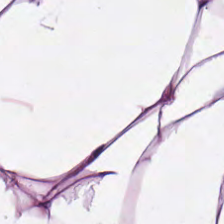Predominant tissue = fat tissue.
